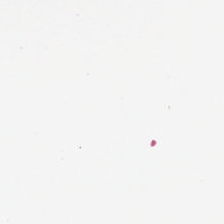Content = no tissue.
